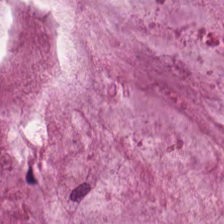0.5 µm per pixel; formalin-fixed paraffin-embedded section; hematoxylin and eosin — The predominant tissue is extracellular mucin.
